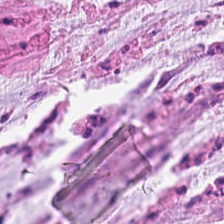Stain: H&E-stained tissue section.
Predominant tissue: mucin.
